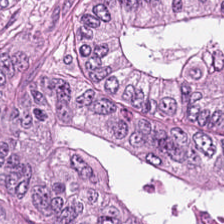Formalin-fixed paraffin-embedded section; hematoxylin and eosin — This patch shows colorectal adenocarcinoma.
